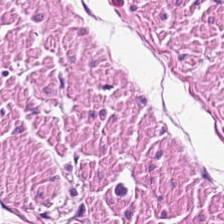Stain: hematoxylin and eosin.
Classification: smooth muscle.
